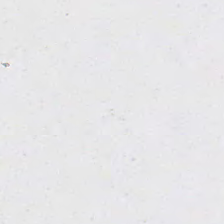Hematoxylin and eosin — Histology → no tissue.
